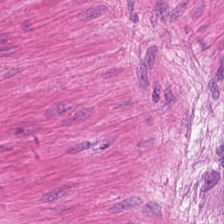Hematoxylin and eosin.
Classification: smooth-muscle tissue.
